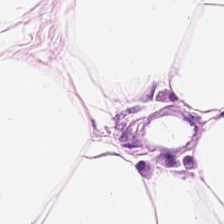Whole-slide-image patch. Hematoxylin-and-eosin stained section. 0.5 microns per pixel.
Predominantly adipose tissue.
